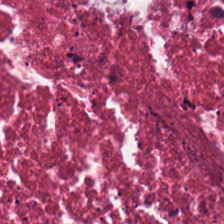H&E-stained tissue section · 224×224 pixel tile.
This patch shows necrotic debris.
